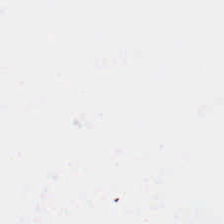Classification = background (no tissue).
